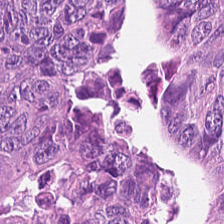The predominant tissue is colorectal adenocarcinoma.
